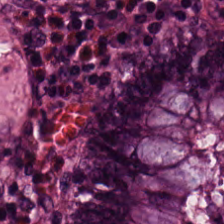Formalin-fixed paraffin-embedded section · H&E stain. This field is non-neoplastic colon mucosa.
